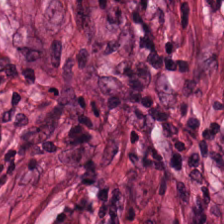Hematoxylin-and-eosin stained section. Desmoplastic stroma.
